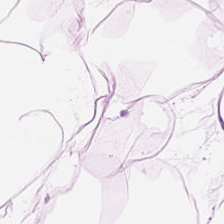Classification = adipose tissue.
